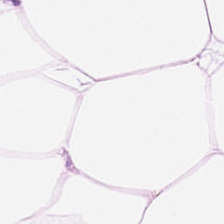H&E. The predominant tissue is adipocytes.
